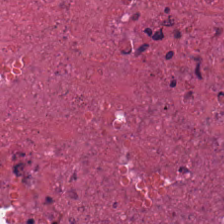Hematoxylin-and-eosin stained section.
{"tissue_type": "debris"}
